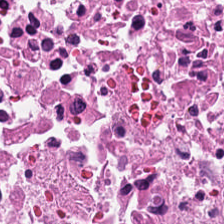H&E — This field is cellular debris.
